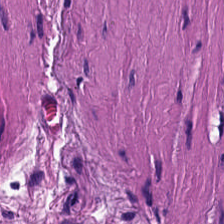Stain: H&E-stained tissue section.
Tissue class: muscularis.
